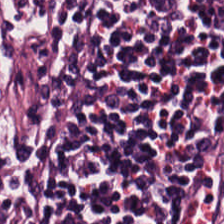Stain: H&E-stained tissue section.
Preparation: FFPE tissue section.
Tissue type: lymphoid infiltrate.
